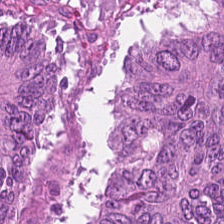Malignant epithelium.
